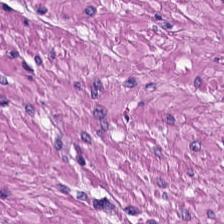Hematoxylin-and-eosin section: smooth-muscle tissue.
